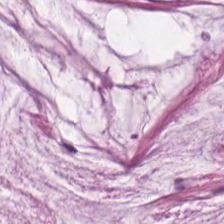H&E-stained tissue section · FFPE · 20× equivalent magnification.
{"tissue_type": "extracellular mucin"}
